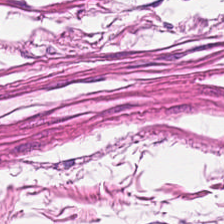Hematoxylin and eosin — Tissue: muscularis.
